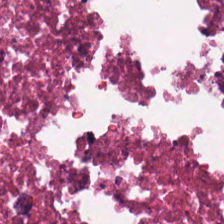Hematoxylin and eosin — Classification = necrotic debris.
